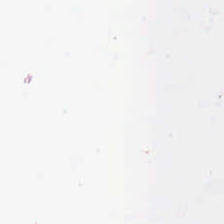H&E.
Classification: empty background.
